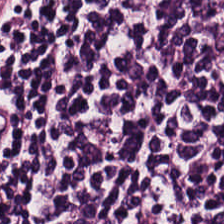Hematoxylin-and-eosin stained section — Showing lymphocytes.
